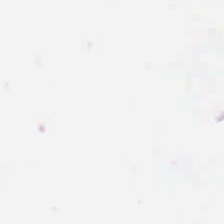Hematoxylin-and-eosin stained section — This patch shows background.
